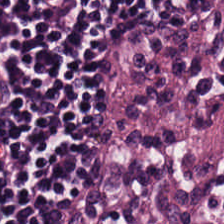Lymphocyte aggregate.
